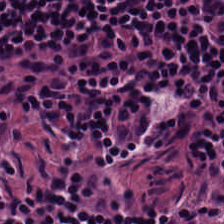Q: What is the predominant tissue type?
A: It is lymphocytes.
